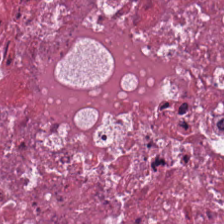Hematoxylin-and-eosin stained section — This field is debris.
